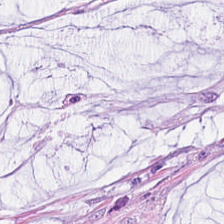Q: What is shown here?
A: This is extracellular mucin.
